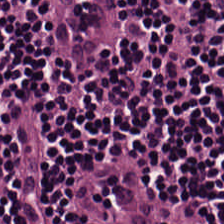224×224 px patch; H&E stain.
Predominantly lymphoid infiltrate.
